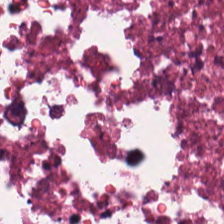Q: What is the predominant tissue type?
A: Necrotic debris.
